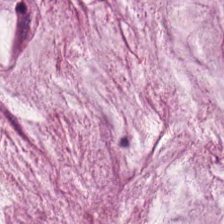Stain: hematoxylin and eosin.
Preparation: formalin-fixed paraffin-embedded section.
Tile size: 224×224 pixel tile.
Tissue: mucus.
